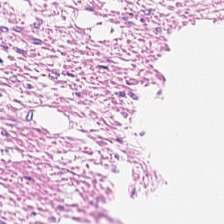224×224 px patch; H&E — Tissue class = smooth muscle.
